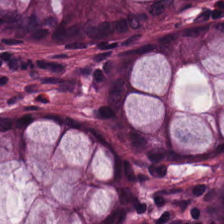Formalin-fixed paraffin-embedded section · hematoxylin and eosin. This field is non-neoplastic colon mucosa.
